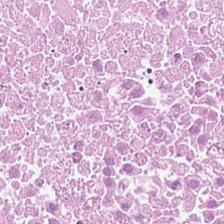0.5 µm per pixel; H&E-stained tissue section — Histology → necrotic debris.
